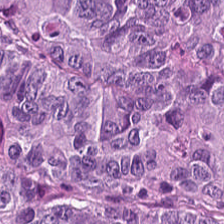Hematoxylin and eosin · 0.5 µm per pixel. Predominant tissue: colorectal adenocarcinoma epithelium.
